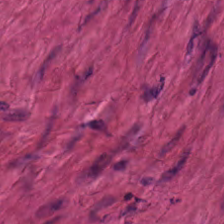Hematoxylin and eosin. Predominantly smooth-muscle tissue.
